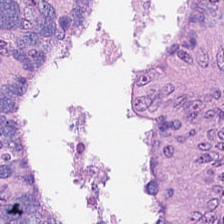This field is colorectal adenocarcinoma epithelium.
